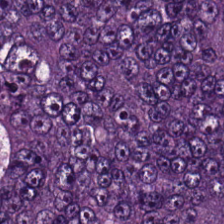Brightfield. 0.5 microns per pixel. Hematoxylin and eosin. Classification — colorectal adenocarcinoma epithelium.
